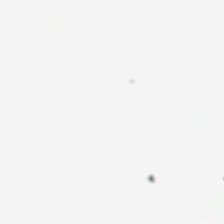Stain: H&E stain.
Classification: background.
